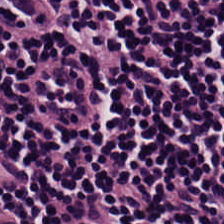Stain: hematoxylin and eosin.
Acquisition: brightfield microscopy.
Classification: lymphoid infiltrate.
